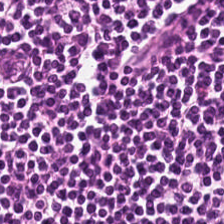Hematoxylin and eosin · brightfield. The tissue here is lymphocyte aggregate.
